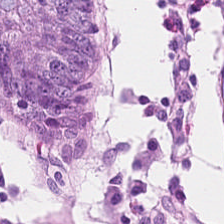Stain: H&E.
Resolution: 0.5 microns per pixel.
Tissue class: non-neoplastic colon mucosa.
